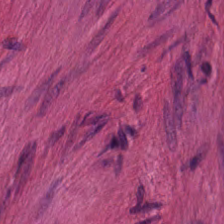H&E.
Smooth muscle.
